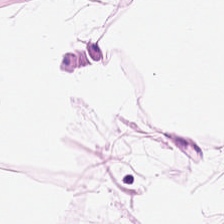Hematoxylin and eosin. 224×224 px patch.
Finding → fat tissue.
